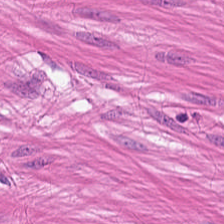Brightfield. H&E-stained tissue section. 0.5 µm/px — Predominantly smooth-muscle tissue.
